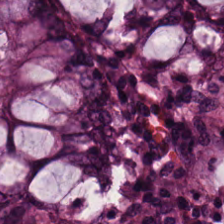H&E-stained tissue section. The tissue is normal colon mucosa.
